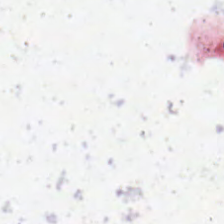Hematoxylin-and-eosin stained section. Brightfield microscopy — Finding — background (no tissue).
